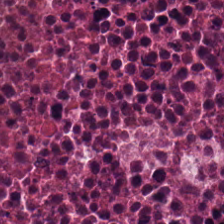H&E-stained tissue section · brightfield · 224×224 px tile. This field is cellular debris.
